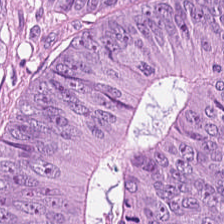H&E stain. {"tissue_type": "adenocarcinoma"}
